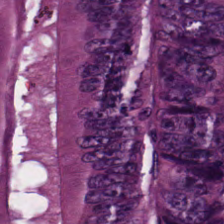Hematoxylin-and-eosin stained section — Predominantly tumor epithelium.
